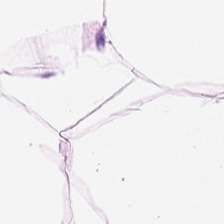H&E stain — The classification is adipose tissue.
